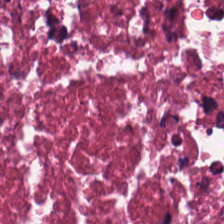H&E-stained tissue section — Tissue — debris.
